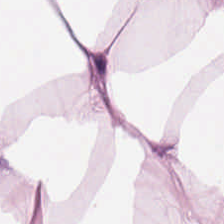Stain: hematoxylin and eosin.
Resolution: 20× equivalent magnification.
Tissue: adipose tissue.
